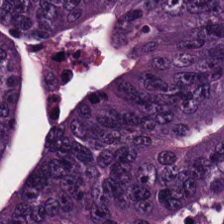Tissue: colorectal adenocarcinoma epithelium.
